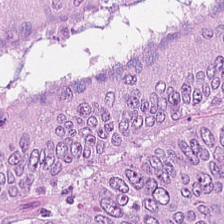H&E — Finding — adenocarcinoma.
